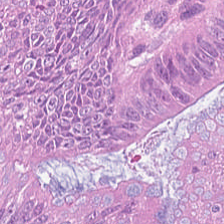Hematoxylin and eosin.
This field is adenocarcinoma.
